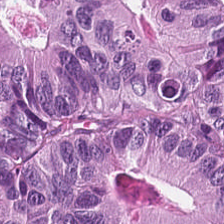Hematoxylin-and-eosin stained section.
Q: Identify the tissue.
A: Colorectal adenocarcinoma.
